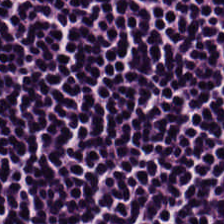Finding → lymphoid infiltrate.
